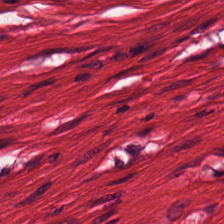Showing muscularis.
